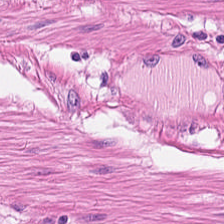Hematoxylin and eosin. Brightfield microscopy. Tissue type: muscularis.
